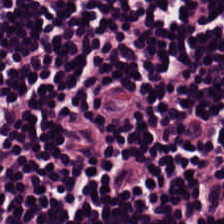224×224 pixel tile · FFPE · hematoxylin-and-eosin stained section. Q: What does this patch show?
A: Lymphocytes.
